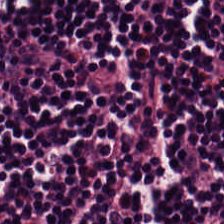0.5 µm/px. Formalin-fixed paraffin-embedded section. Hematoxylin-and-eosin stained section. Predominantly lymphoid infiltrate.
